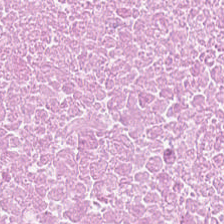224×224 px tile · H&E stain. Tissue class: debris.
